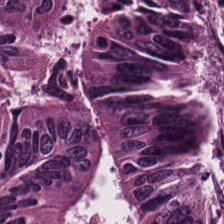Impression — adenocarcinoma.
